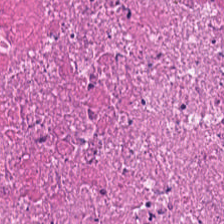H&E-stained tissue section. The tissue type is debris.
